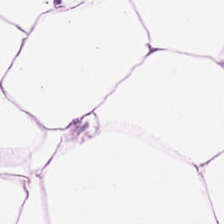Hematoxylin-and-eosin stained section — {"tissue_type": "fat tissue"}
